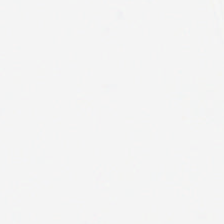Stain: hematoxylin and eosin.
Classification: background (no tissue).
